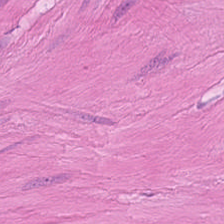Impression — smooth-muscle tissue.
